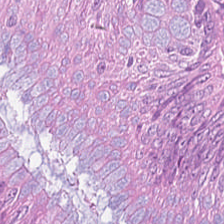H&E-stained tissue section — Showing colorectal adenocarcinoma.
